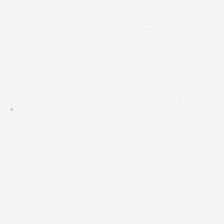H&E stain. Classification — empty background.
